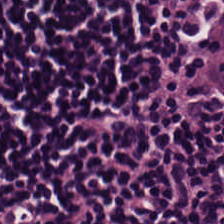Stain: H&E.
Resolution: 0.5 microns per pixel.
Tissue: lymphocytic infiltrate.
